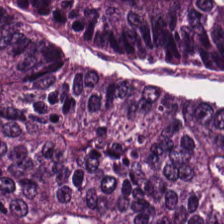H&E stain — Tissue class — adenocarcinoma.
